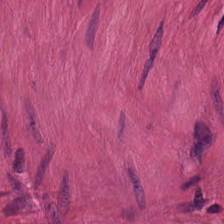The predominant tissue is smooth muscle.
